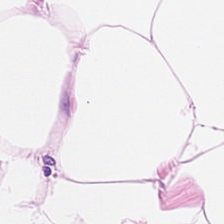H&E; FFPE — This field is adipose tissue.
